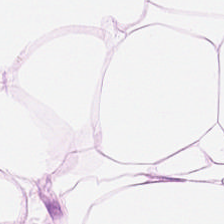H&E · 0.5 µm/px — This field is fat tissue.
